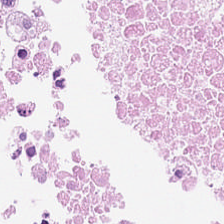The tissue here is debris.
